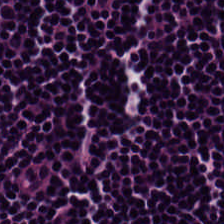Formalin-fixed paraffin-embedded section; brightfield microscopy; hematoxylin-and-eosin stained section.
Histology — lymphoid infiltrate.
